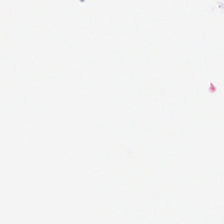Empty field — empty background.
